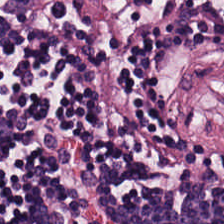Formalin-fixed paraffin-embedded section. H&E-stained tissue section.
Impression — lymphocytes.
